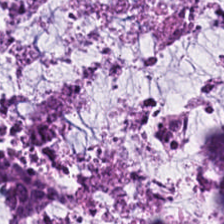Hematoxylin-and-eosin stained section; 0.5 µm/px. This patch shows mucus.
